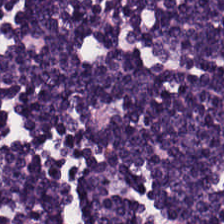Hematoxylin-and-eosin stained section.
Predominantly lymphoid infiltrate.
